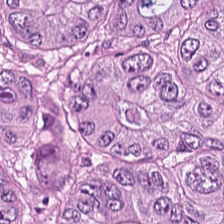FFPE tissue section. H&E stain. Brightfield microscopy.
Predominant tissue: colorectal adenocarcinoma.
